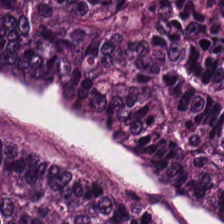224×224 px tile. H&E stain. The tissue here is colorectal adenocarcinoma epithelium.
